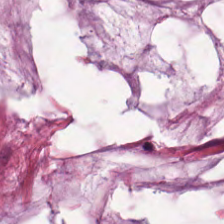Hematoxylin and eosin. 0.5 µm per pixel. Whole-slide-image patch.
Mucin.
